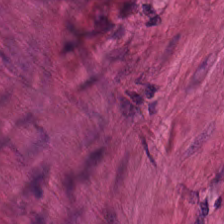224×224 px patch · hematoxylin and eosin.
The predominant tissue is muscularis.
